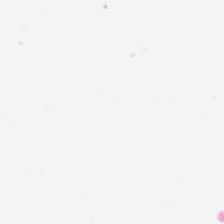Hematoxylin-and-eosin stained section — The classification is empty background.
